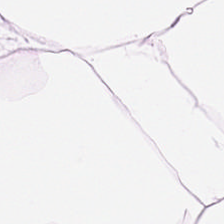H&E-stained tissue section. Classification: adipocytes.
